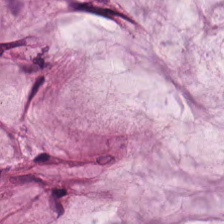Hematoxylin-and-eosin stained section; 224×224 px tile; brightfield — Mucin.
